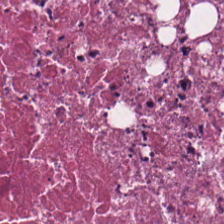Hematoxylin and eosin — This patch shows necrotic debris.
